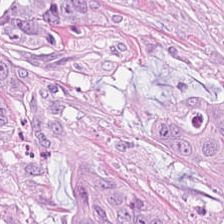Tissue: colorectal adenocarcinoma epithelium.
